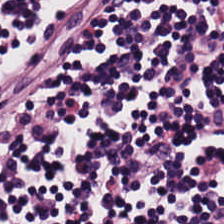H&E. FFPE. 224×224 px tile. This patch shows lymphocytic infiltrate.
